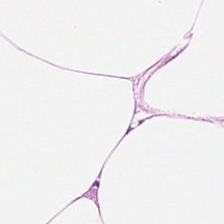Stain: H&E.
Classification: adipose tissue.
